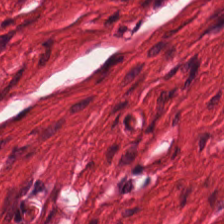Hematoxylin and eosin. 224×224 pixel tile — The tissue is smooth-muscle tissue.
